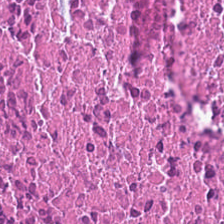Q: Classify this patch.
A: It is debris.
